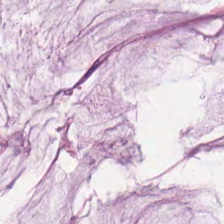Stain: hematoxylin-and-eosin stained section.
Predominant tissue: mucin.
